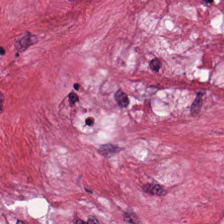H&E.
Tissue = cancer-associated stroma.
